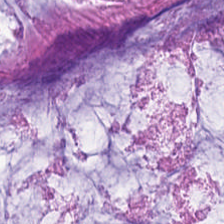H&E-stained tissue section — Histology — mucus.
